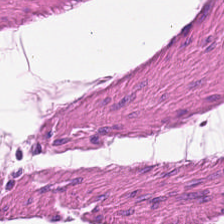H&E-stained section; the field shows muscularis.
